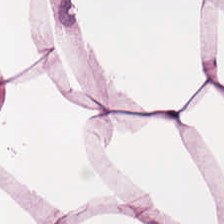This patch shows adipocytes.
